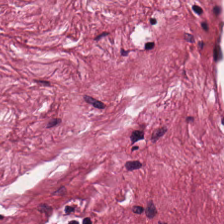H&E-stained tissue section. Tissue type — desmoplastic stroma.
